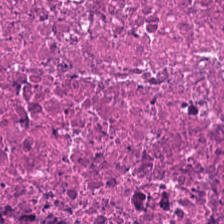H&E stain. FFPE tissue section. Brightfield. Q: What is the predominant tissue type?
A: Necrotic debris.
